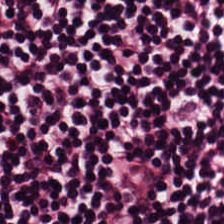H&E.
This patch shows lymphocyte aggregate.
